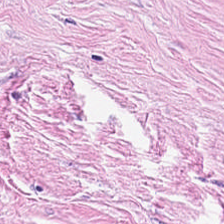H&E stain. 0.5 µm/px. Tissue: cancer-associated stroma.
